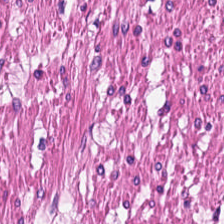H&E-stained tissue section.
Q: What tissue type is shown here?
A: The field shows muscularis.
